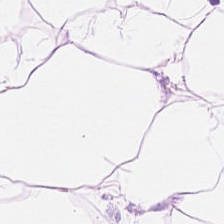H&E.
Predominantly adipose tissue.
